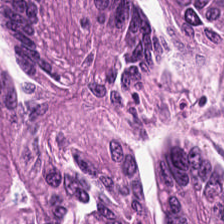H&E-stained section; the field shows adenocarcinoma.
